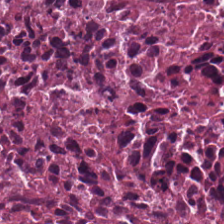Stain: hematoxylin-and-eosin stained section.
Resolution: 0.5 µm/px.
Acquisition: brightfield microscopy.
Tissue: debris.
